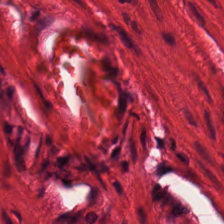0.5 µm/px. 224×224 px tile. Hematoxylin-and-eosin stained section — Predominantly muscularis.
